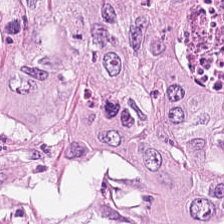H&E · 224×224 px tile.
Predominant tissue: malignant epithelium.
